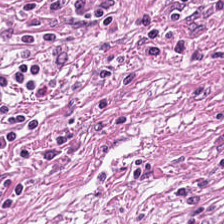Hematoxylin and eosin. Impression → cancer-associated stroma.
